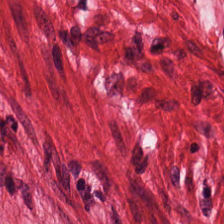Brightfield microscopy. H&E. Predominant tissue: smooth-muscle tissue.
